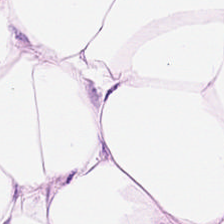FFPE. H&E.
Finding → fat tissue.
